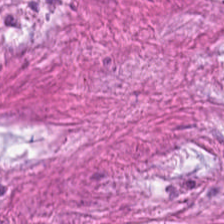Q: What is the predominant tissue type?
A: The field shows tumor stroma.
